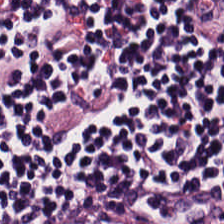Hematoxylin and eosin. 224×224 px patch — Tissue type — lymphocytic infiltrate.
